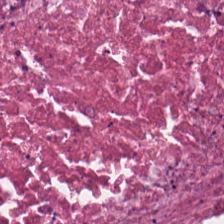Stain: H&E-stained tissue section.
Tissue type: necrotic debris.
